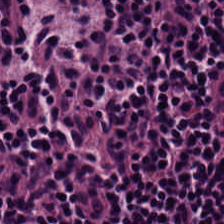H&E. The predominant tissue is lymphocyte aggregate.
